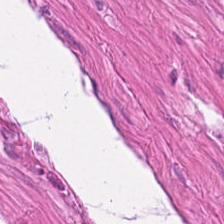Classification = smooth-muscle tissue.
